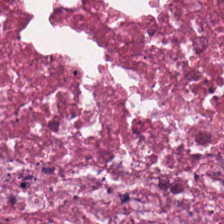224×224 px patch; WSI patch; H&E stain.
Predominant tissue = necrotic debris.
